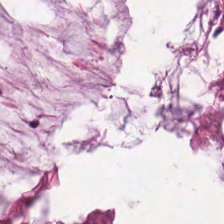224×224 px patch; hematoxylin and eosin. Q: What type of tissue is this?
A: It is extracellular mucin.
